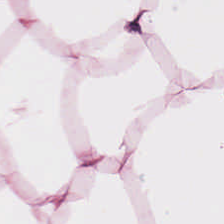0.5 µm per pixel · H&E · 224×224 pixel tile. Tissue: adipocytes.
